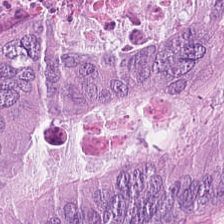Hematoxylin and eosin. 20× equivalent magnification. WSI patch — Finding → colorectal adenocarcinoma.
